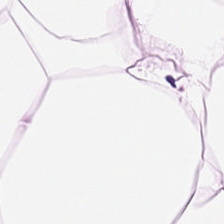Hematoxylin-and-eosin stained section. Q: Classify this patch.
A: Adipose tissue.
